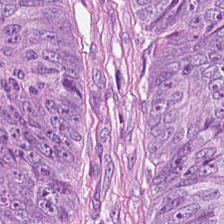H&E-stained tissue section. The tissue is colorectal adenocarcinoma epithelium.
